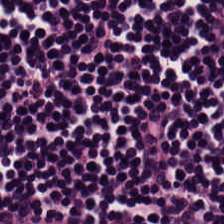Hematoxylin and eosin · 224×224 pixel tile. Q: What tissue type is shown here?
A: This is lymphocytes.
